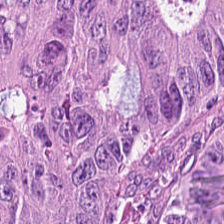H&E — Q: What type of tissue is this?
A: It is tumor epithelium.
